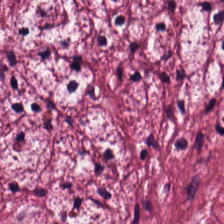This patch shows cancer-associated stroma.
